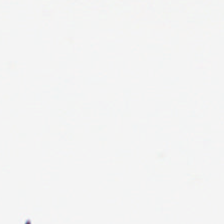Hematoxylin and eosin. 224×224 pixel tile. 0.5 µm per pixel.
Q: What is shown in this field?
A: It is background.
